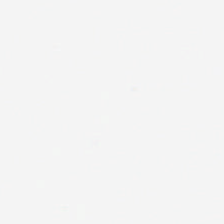This field is background (no tissue).
